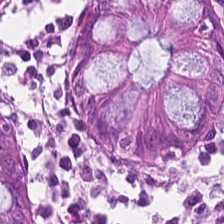224×224 pixel tile. H&E-stained tissue section.
Tissue type: normal colonic mucosa.
